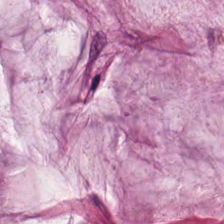H&E stain.
The tissue is extracellular mucin.
